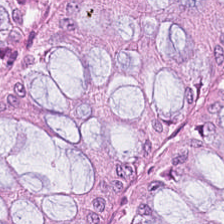H&E. Tissue class = normal colonic mucosa.
